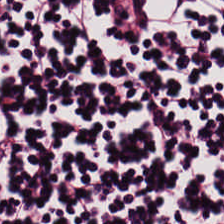Whole-slide-image patch · H&E stain. Showing lymphocytic infiltrate.
